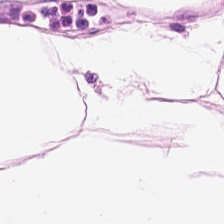Formalin-fixed paraffin-embedded section · hematoxylin-and-eosin stained section — Predominantly adipocytes.
